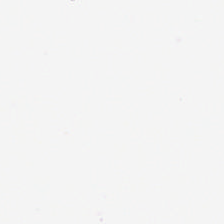Hematoxylin and eosin.
No tissue present; background only.
